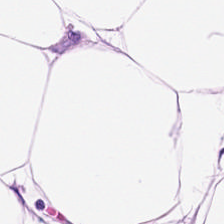H&E-stained tissue section · brightfield microscopy — Predominant tissue — adipocytes.
